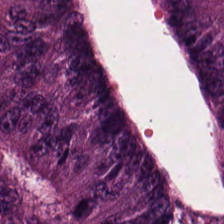Stain: H&E.
Tile size: 224×224 px tile.
Predominant tissue: tumor epithelium.
